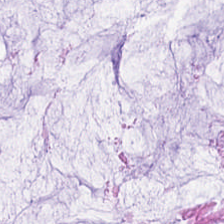Formalin-fixed paraffin-embedded section. Hematoxylin and eosin. Brightfield.
Tissue = non-neoplastic colon mucosa.
